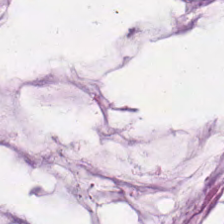H&E.
Classification: mucin.
